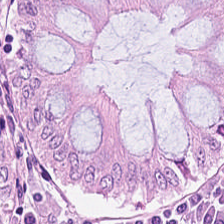0.5 µm per pixel · H&E stain · 224×224 pixel tile. Tissue class — normal colonic mucosa.
